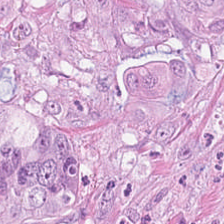Hematoxylin-and-eosin stained section.
Predominant tissue = adenocarcinoma.
